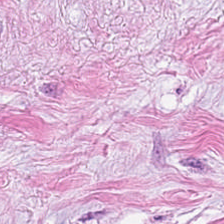H&E stain — The tissue is cancer-associated stroma.
